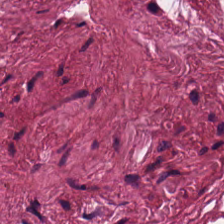H&E-stained tissue section.
Classification = tumor-associated stroma.
